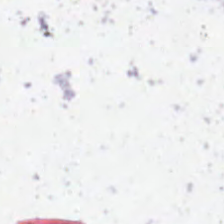H&E stain. Field content — background.
